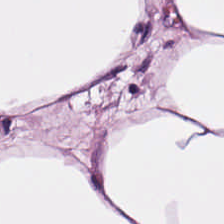H&E stain — Fat tissue.
